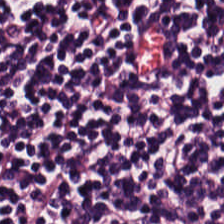Hematoxylin and eosin — Q: What tissue type is shown here?
A: Lymphocyte aggregate.
